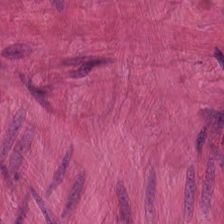WSI patch; 224×224 px tile; hematoxylin-and-eosin stained section — Muscularis.
